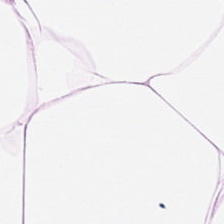H&E stain. Histology → adipose.
